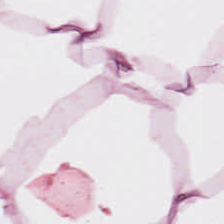H&E; 224×224 px tile — Fat tissue.
